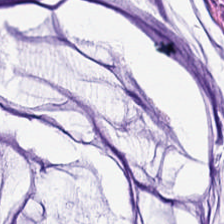Hematoxylin-and-eosin stained section. 224×224 pixel tile. This patch shows mucin.
